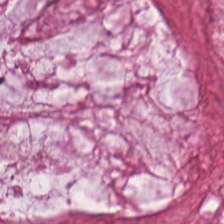H&E.
The tissue here is extracellular mucin.
